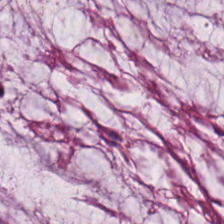H&E stain; 0.5 microns per pixel — Extracellular mucin.
